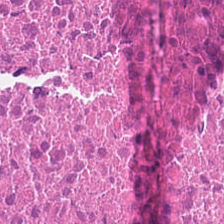The tissue here is cellular debris.
